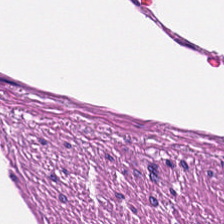Predominant tissue: muscularis.
